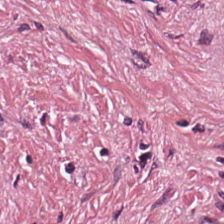0.5 microns per pixel; hematoxylin-and-eosin stained section.
Q: What does this patch show?
A: This is desmoplastic stroma.
